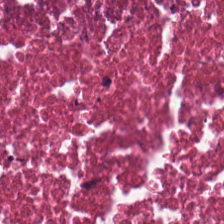0.5 µm per pixel · H&E stain · 224×224 px patch — Tissue: necrotic debris.
